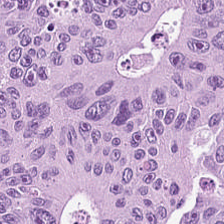Stain: H&E stain.
Resolution: 0.5 microns per pixel.
Preparation: FFPE.
Tissue type: tumor epithelium.
